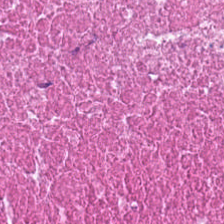Hematoxylin-and-eosin stained section · 20× equivalent magnification. Debris.
